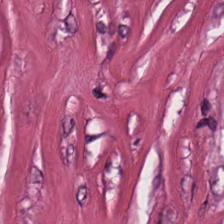Tissue: desmoplastic stroma.
